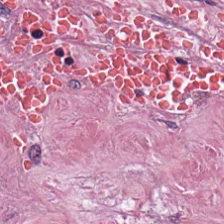H&E. Desmoplastic stroma.
